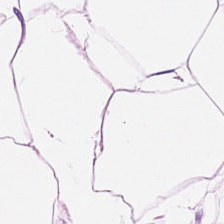H&E-stained tissue section.
The predominant tissue is adipocytes.
